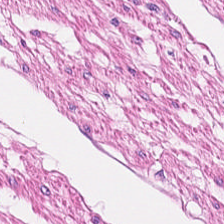H&E stain.
The tissue here is smooth muscle.
